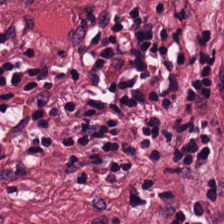224×224 px patch; hematoxylin-and-eosin stained section — Showing tumor-associated stroma.
